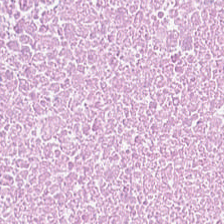H&E-stained tissue section. Impression → necrotic debris.
